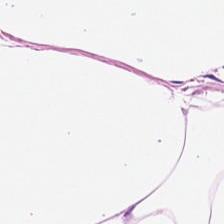Hematoxylin-and-eosin stained section.
This patch shows adipose.
